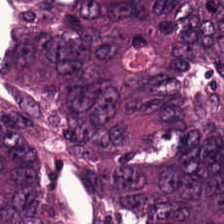Stain: hematoxylin and eosin.
Tissue: tumor epithelium.
